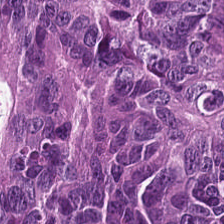H&E — colorectal adenocarcinoma.
